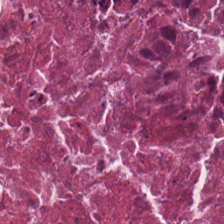WSI patch; H&E; 224×224 px tile.
Predominantly cellular debris.
